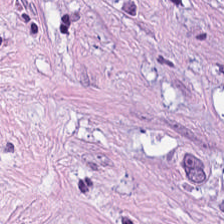H&E-stained tissue section — Showing cancer-associated stroma.
